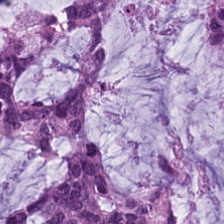H&E. Impression — mucus.
